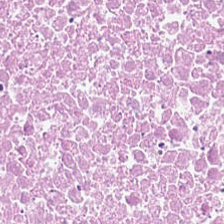H&E stain; WSI patch — Cellular debris.
